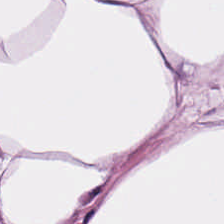Formalin-fixed paraffin-embedded section. H&E. 224×224 pixel tile — Predominantly fat tissue.
